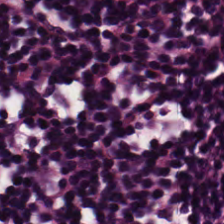H&E-stained tissue section — Q: What tissue type is shown here?
A: It is lymphocytic infiltrate.
